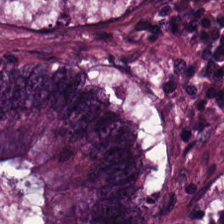224×224 pixel tile · H&E stain · 20× equivalent magnification — This field is adenocarcinoma.
